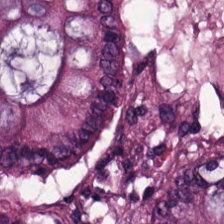Finding — normal colon mucosa.
